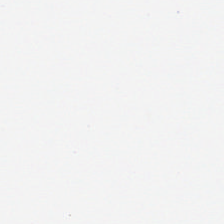Brightfield microscopy · 224×224 px tile · H&E-stained tissue section — Field content = background (no tissue).
